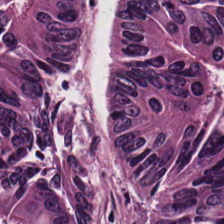Classification: adenocarcinoma.
